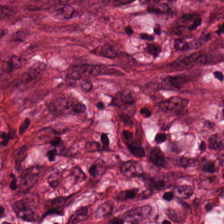FFPE. H&E — Histology — tumor stroma.
